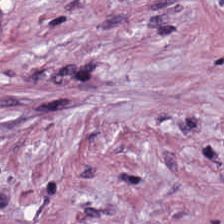H&E-stained tissue section.
The predominant tissue is desmoplastic stroma.
